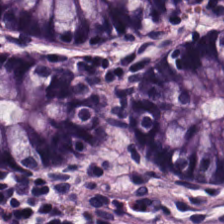Predominantly normal colonic mucosa.
